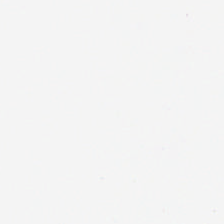H&E stain.
The content is no tissue.
